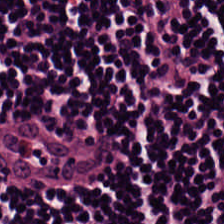224×224 pixel tile. 0.5 µm/px. H&E-stained tissue section — This patch shows lymphoid infiltrate.
